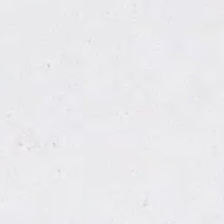Classification — background (no tissue).
